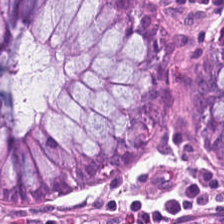Finding → normal colon mucosa.
